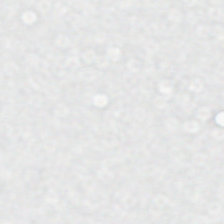Hematoxylin-and-eosin stained section.
Impression — no tissue.
